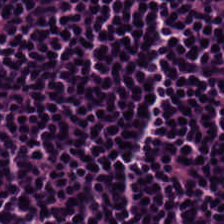20× equivalent magnification · H&E stain. Showing lymphocytic infiltrate.
